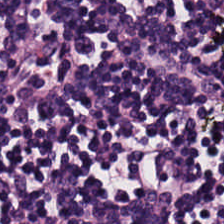224×224 pixel tile · H&E — This patch shows lymphocytes.
